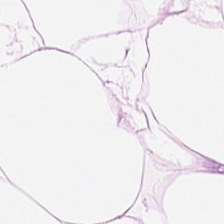Hematoxylin and eosin. FFPE tissue section. 224×224 px tile. Tissue class = adipocytes.
